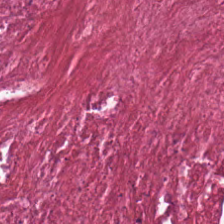Hematoxylin-and-eosin stained section · FFPE · 224×224 px patch.
Classification = necrotic debris.
